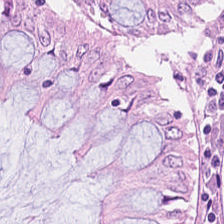H&E-stained tissue section — Tissue class: normal colonic mucosa.
